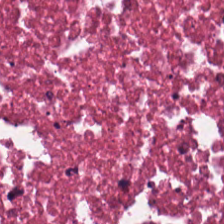224×224 pixel tile · FFPE · H&E stain.
Tissue class: debris.
